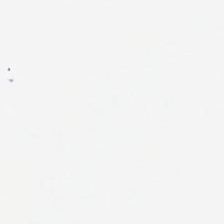No tissue present; background only.
